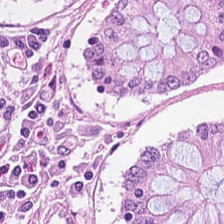Formalin-fixed paraffin-embedded section. H&E-stained tissue section — Classification: normal colon mucosa.
